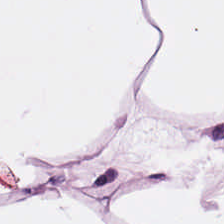H&E-stained tissue section showing adipose.
